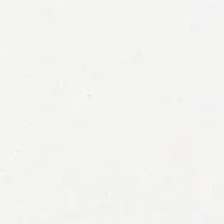{"content": "empty background"}
